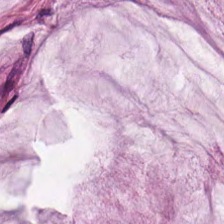H&E · 0.5 microns per pixel · WSI patch — This patch shows extracellular mucin.
